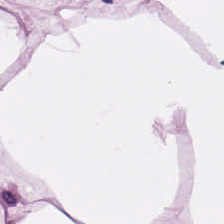224×224 pixel tile · H&E-stained tissue section — Tissue type: adipose.
